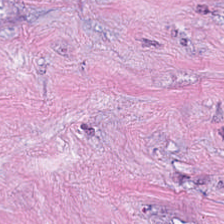H&E stain — Classification — desmoplastic stroma.
